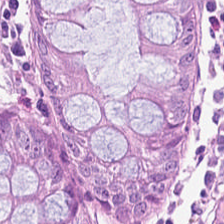H&E-stained tissue section. Brightfield. 224×224 px patch — Predominantly benign colonic mucosa.
